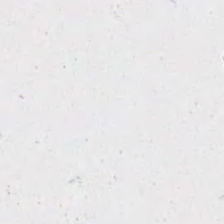Stain: hematoxylin-and-eosin stained section.
Tile size: 224×224 pixel tile.
Acquisition: brightfield microscopy.
Classification: background.
